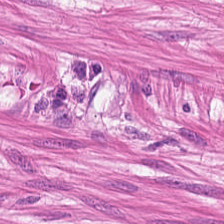{"tissue_type": "smooth muscle"}
